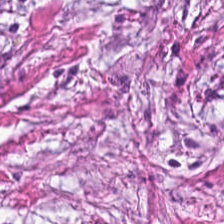224×224 px patch. Hematoxylin and eosin — Showing cancer-associated stroma.
